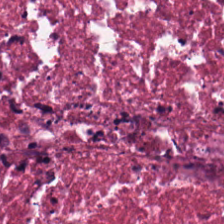H&E. Showing cellular debris.
